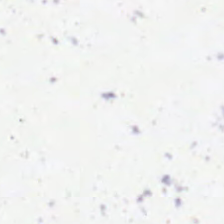H&E · WSI patch — The field content is background (no tissue).
